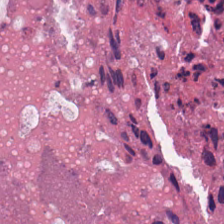The classification is cellular debris.
